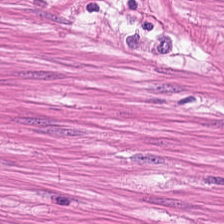WSI patch; H&E stain. Q: Identify the tissue.
A: Smooth-muscle tissue.
